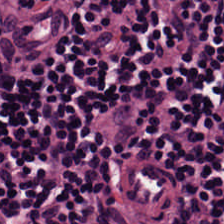H&E-stained tissue section — Tissue class — lymphocyte aggregate.
